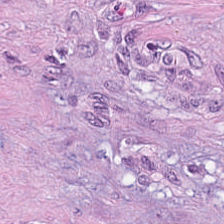WSI patch. FFPE tissue section. H&E. Impression — cancer-associated stroma.
